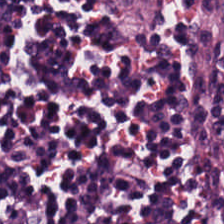Hematoxylin and eosin. Tissue type = lymphocytes.
